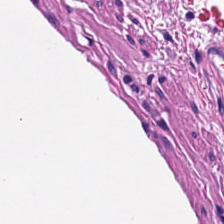Formalin-fixed paraffin-embedded section. H&E-stained tissue section. Q: What does this patch show?
A: The field shows smooth-muscle tissue.
